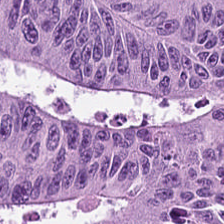H&E. {"tissue_type": "malignant epithelium"}
